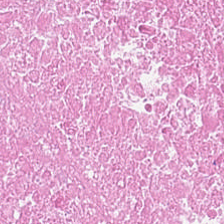Necrotic debris.
